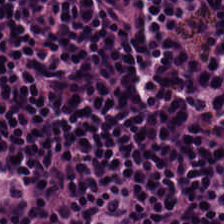Stain: H&E stain.
Preparation: formalin-fixed paraffin-embedded section.
Tile size: 224×224 px patch.
Classification: lymphocytic infiltrate.
